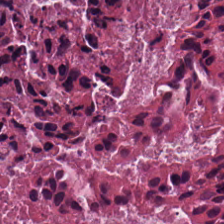20× equivalent magnification · H&E — Showing necrotic debris.
